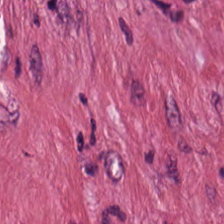This field is desmoplastic stroma.
